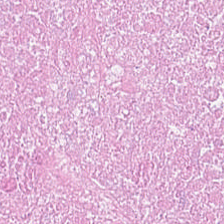H&E — The tissue here is debris.
